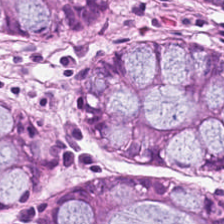Q: What does this patch show?
A: It is normal colon mucosa.
